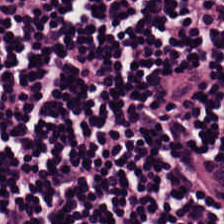Hematoxylin-and-eosin stained section — Finding → lymphocytic infiltrate.
